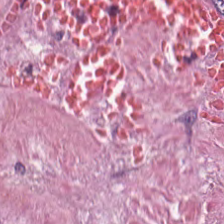Hematoxylin and eosin.
Predominantly tumor stroma.
